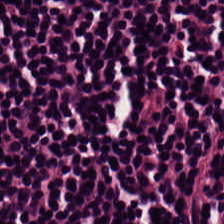Hematoxylin and eosin.
This patch shows lymphocyte aggregate.
